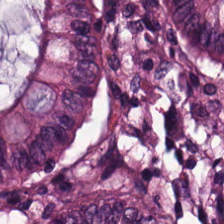Finding — normal colonic mucosa.
